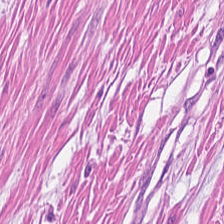FFPE · hematoxylin-and-eosin stained section. Q: What is shown here?
A: Muscularis.
